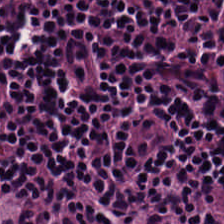H&E · 20× equivalent magnification · 224×224 px patch. Tissue = lymphocyte aggregate.
